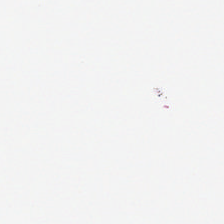Q: What is shown in this field?
A: No tissue.
